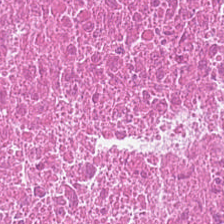224×224 px tile; hematoxylin and eosin. Predominantly necrotic debris.
